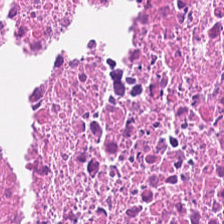FFPE · hematoxylin and eosin.
Predominant tissue: debris.
